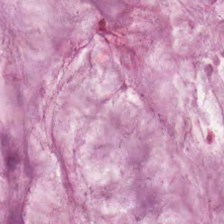Stain: H&E stain.
Resolution: 0.5 microns per pixel.
Tissue class: extracellular mucin.
